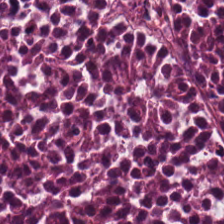Q: What tissue is shown?
A: It is debris.
